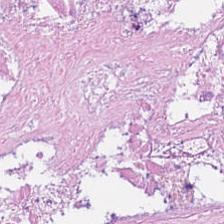Hematoxylin-and-eosin stained section — Predominant tissue: debris.
